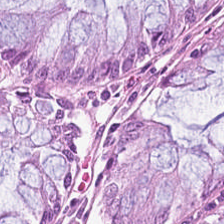Formalin-fixed paraffin-embedded section. 0.5 microns per pixel. Hematoxylin and eosin — Showing benign colonic mucosa.
